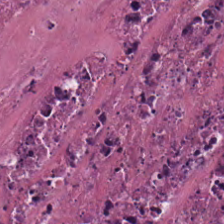H&E stain.
Predominantly cellular debris.
